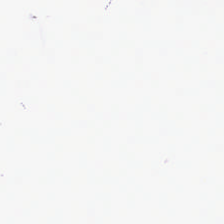H&E. Field content: no tissue.
